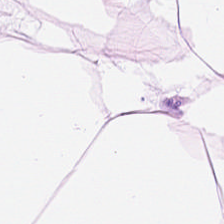H&E stain — Q: Identify the tissue.
A: It is adipocytes.
